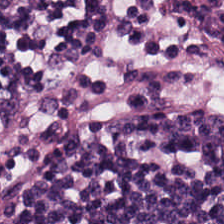0.5 microns per pixel. H&E stain.
This patch shows lymphocytes.
